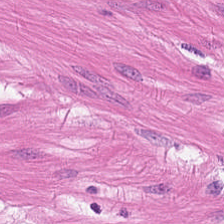H&E — smooth-muscle tissue.
